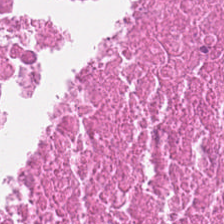224×224 pixel tile. Brightfield microscopy. H&E stain. Q: What does this patch show?
A: This is necrotic debris.
